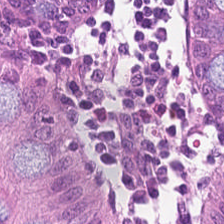H&E stain.
Classification = non-neoplastic colon mucosa.
